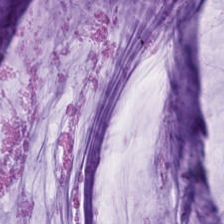Showing extracellular mucin.
